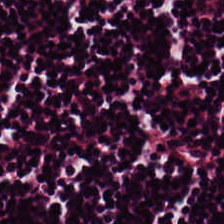H&E-stained section; the field shows lymphocyte aggregate.
